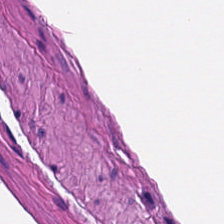Whole-slide-image patch · H&E-stained tissue section — This patch shows muscularis.
